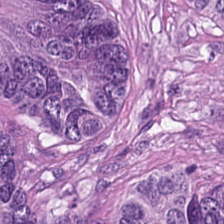Whole-slide-image patch · H&E stain. Malignant epithelium.
